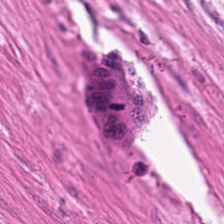Whole-slide-image patch · hematoxylin and eosin. Histology → smooth muscle.
